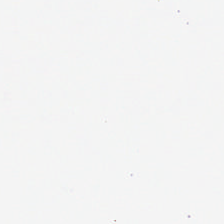0.5 microns per pixel. Hematoxylin and eosin. 224×224 px patch.
Content = background (no tissue).
